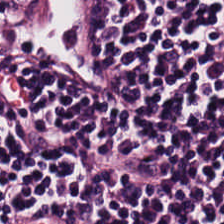Hematoxylin-and-eosin stained section — Q: What is shown here?
A: It is lymphocytic infiltrate.
